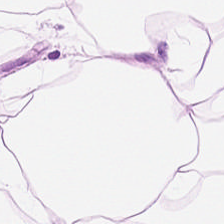H&E-stained tissue section. 224×224 px patch. Formalin-fixed paraffin-embedded section.
Predominant tissue: adipocytes.
